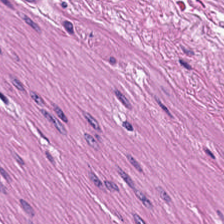The tissue here is muscularis.
